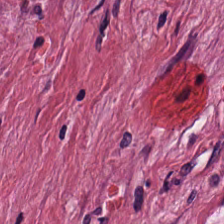Whole-slide-image patch. FFPE tissue section. H&E-stained tissue section — The tissue here is desmoplastic stroma.
